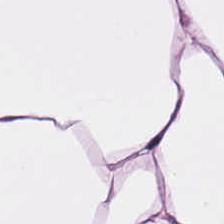0.5 µm per pixel · hematoxylin-and-eosin stained section — Q: What tissue type is shown here?
A: The field shows adipocytes.
